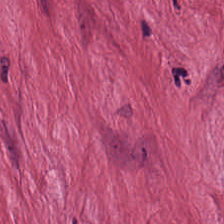Hematoxylin-and-eosin stained section; 20× equivalent magnification — Predominant tissue — tumor stroma.
